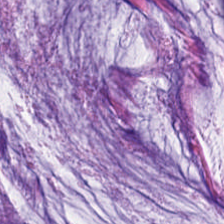H&E-stained tissue section.
Tissue: mucin.
